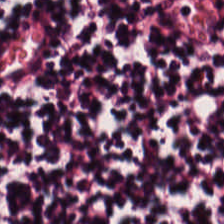Classification: lymphocytes.
